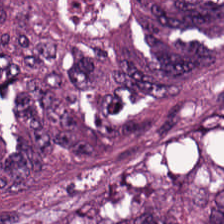0.5 microns per pixel. H&E — Tissue: colorectal adenocarcinoma.
